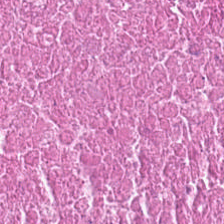Hematoxylin-and-eosin stained section — Classification = cellular debris.
